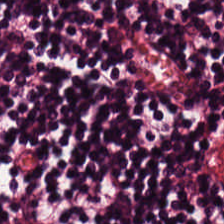H&E stain — The predominant tissue is lymphocytic infiltrate.
